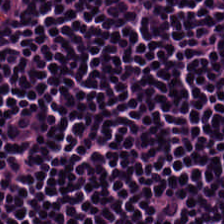Hematoxylin and eosin. The predominant tissue is lymphoid infiltrate.
